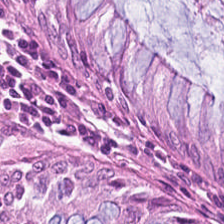Stain: hematoxylin and eosin.
Tissue class: normal colon mucosa.
